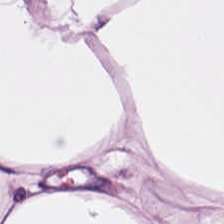Formalin-fixed paraffin-embedded section; hematoxylin and eosin — The tissue here is adipocytes.
